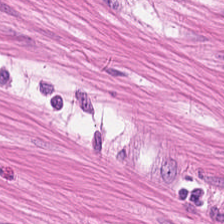Q: What is shown here?
A: This is smooth-muscle tissue.
